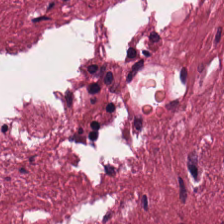The predominant tissue is desmoplastic stroma.
